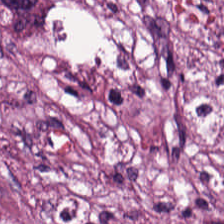Whole-slide-image patch; H&E stain. Showing cancer-associated stroma.
